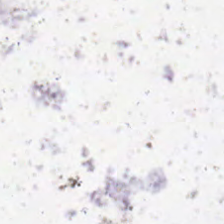H&E-stained tissue section.
No tissue present; background only.
